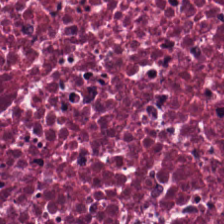Stain: H&E stain.
Classification: cellular debris.
